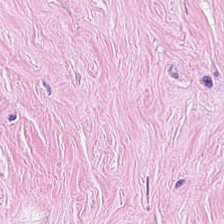H&E stain. Q: What is shown here?
A: Cancer-associated stroma.
